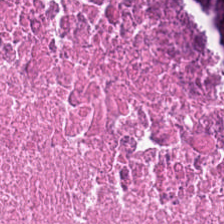Hematoxylin and eosin.
Showing debris.
